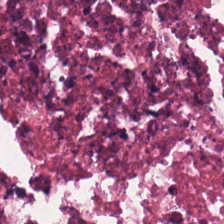Impression → cellular debris.
